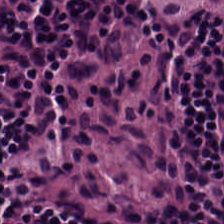The predominant tissue is lymphocyte aggregate.
